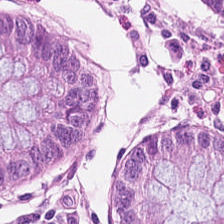Stain: hematoxylin-and-eosin stained section.
Preparation: FFPE tissue section.
Tissue: non-neoplastic colon mucosa.
